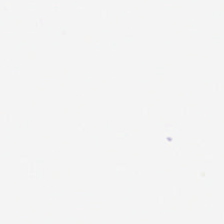H&E — {"content": "no tissue"}
